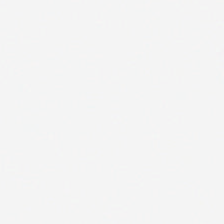224×224 pixel tile · H&E stain.
Q: What is shown in this field?
A: Empty background.
